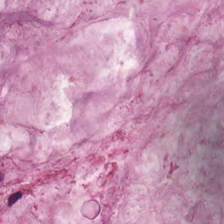Hematoxylin and eosin — Tissue — extracellular mucin.
